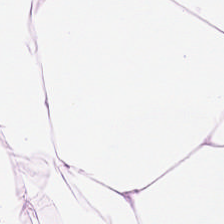224×224 px tile; formalin-fixed paraffin-embedded section; hematoxylin-and-eosin stained section — Impression — adipocytes.
